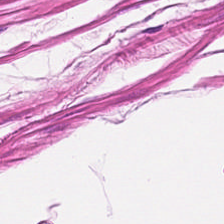0.5 µm per pixel · hematoxylin-and-eosin stained section — {"tissue_type": "smooth-muscle tissue"}
